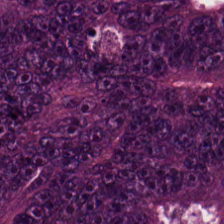Stain: H&E.
Tissue type: tumor epithelium.
